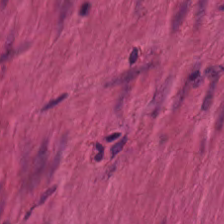Hematoxylin and eosin. 20× equivalent magnification. Tissue: smooth-muscle tissue.
